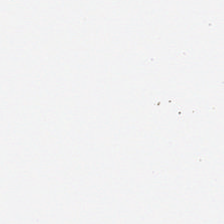This patch shows background.
